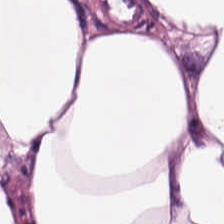224×224 px tile · hematoxylin-and-eosin stained section · 0.5 microns per pixel — {"tissue_type": "fat tissue"}
